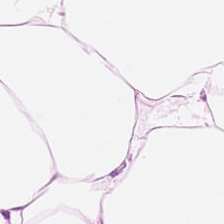H&E stain — Q: What is the predominant tissue type?
A: Adipocytes.
